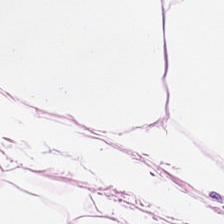Tissue class = fat tissue.
